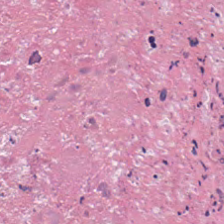Hematoxylin and eosin. WSI patch. 224×224 px patch — Q: What is the predominant tissue type?
A: The field shows debris.
